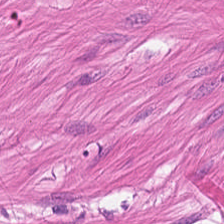Q: Identify the tissue.
A: It is smooth-muscle tissue.
